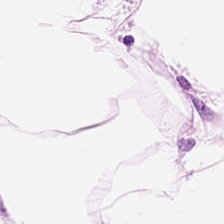H&E-stained tissue section.
Finding → fat tissue.
